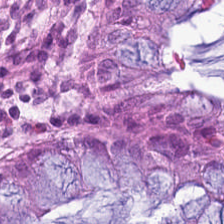Hematoxylin and eosin.
Q: What does this patch show?
A: It is normal colonic mucosa.
